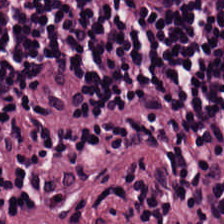FFPE. Hematoxylin-and-eosin stained section. 0.5 microns per pixel.
Classification = lymphocytes.
